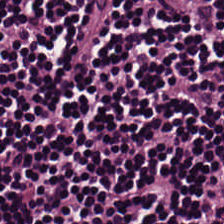H&E-stained tissue section.
Tissue — lymphocytes.
